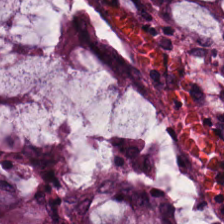The predominant tissue is benign colonic mucosa.
